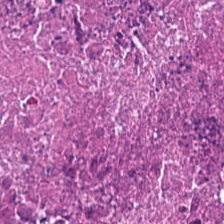224×224 px tile · H&E stain · 0.5 µm per pixel.
{"tissue_type": "debris"}
